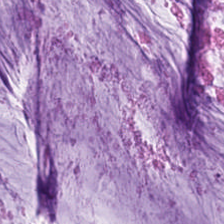Classification — extracellular mucin.
